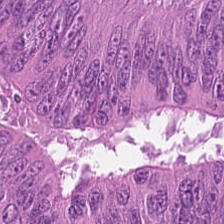H&E. Classification — colorectal adenocarcinoma epithelium.
